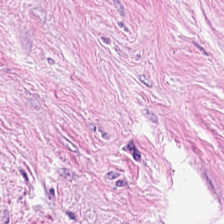This field is tumor stroma.
